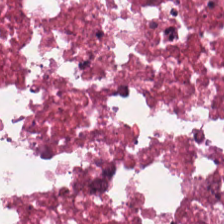Classification = debris.
